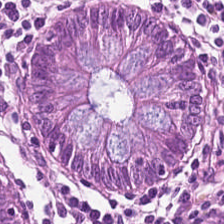Predominant tissue = benign colonic mucosa.
